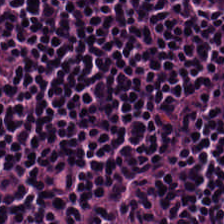H&E stain.
Impression — lymphocytic infiltrate.
